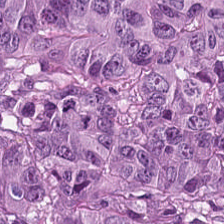Tissue class = colorectal adenocarcinoma.
